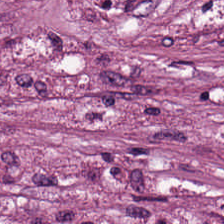H&E. Q: Identify the tissue.
A: This is cancer-associated stroma.
